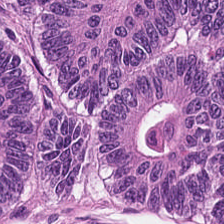Colorectal adenocarcinoma.
